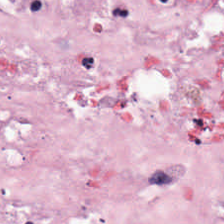The tissue is desmoplastic stroma.
